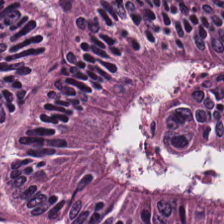Stain: H&E.
Preparation: FFPE.
Tissue: adenocarcinoma.
